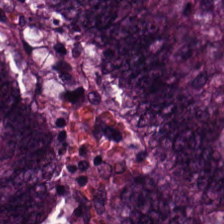H&E. Brightfield microscopy. The predominant tissue is adenocarcinoma.
